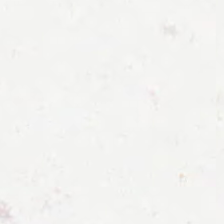Hematoxylin and eosin.
The content is background.
